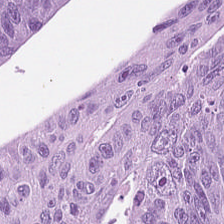H&E stain. The tissue here is colorectal adenocarcinoma.
